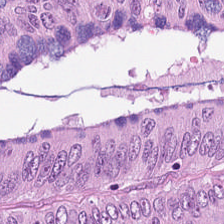Hematoxylin and eosin. Classification = adenocarcinoma.
